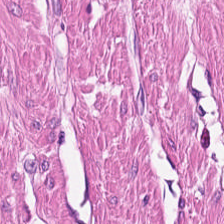H&E — muscularis.
